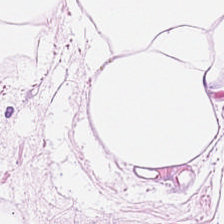This patch shows adipose.
